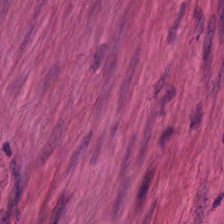Hematoxylin and eosin — Tissue class = smooth-muscle tissue.
